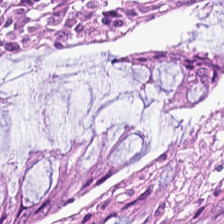0.5 microns per pixel. Formalin-fixed paraffin-embedded section. H&E-stained tissue section. Classification = normal colon mucosa.
